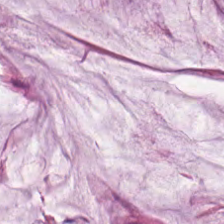224×224 px patch · H&E-stained tissue section — The tissue here is mucus.
